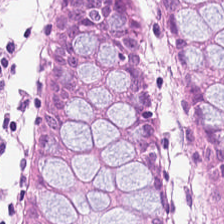H&E stain · 0.5 µm/px · 224×224 pixel tile. Finding → normal colon mucosa.
